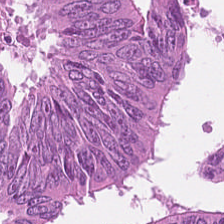H&E-stained tissue section; 224×224 px patch; WSI patch — Classification: colorectal adenocarcinoma epithelium.
